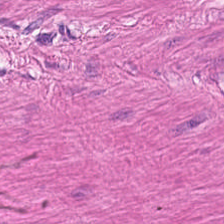H&E stain.
Q: What does this patch show?
A: Muscularis.
